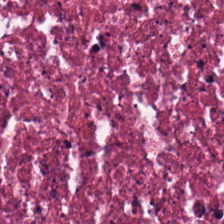Hematoxylin and eosin.
The predominant tissue is debris.
